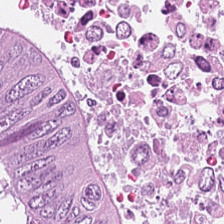H&E-stained tissue section.
The predominant tissue is colorectal adenocarcinoma epithelium.
